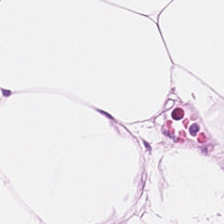Hematoxylin and eosin. The tissue class is adipocytes.
